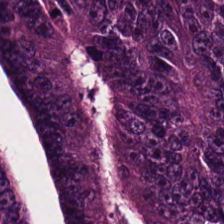H&E stain. {"tissue_type": "colorectal adenocarcinoma epithelium"}
